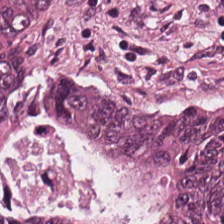Impression — colorectal adenocarcinoma.
